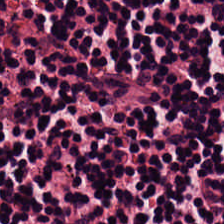Stain: H&E.
Classification: lymphocyte aggregate.
